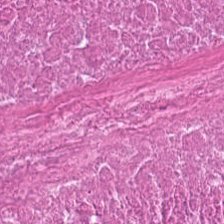0.5 microns per pixel. Brightfield. H&E — Classification: debris.
